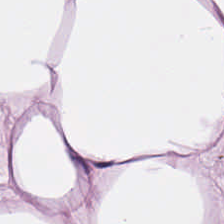Brightfield; H&E — Tissue class: adipose.
